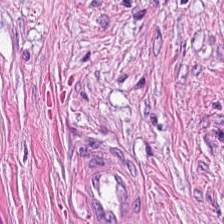H&E · 224×224 px tile — This field is tumor stroma.
